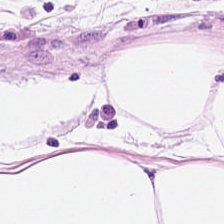H&E stain. Showing adipose.
